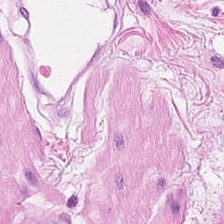H&E stain. 224×224 px patch — Classification: smooth-muscle tissue.
